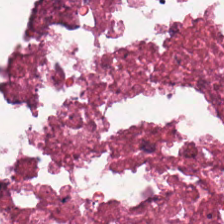Whole-slide-image patch; hematoxylin-and-eosin stained section; 224×224 px tile. This patch shows cellular debris.
